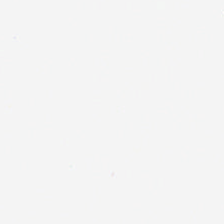Q: What does this patch show?
A: Empty background.
